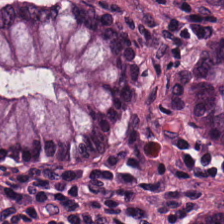FFPE; H&E — Classification — normal colonic mucosa.
